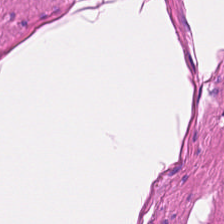Hematoxylin-and-eosin stained section.
Impression — smooth muscle.
